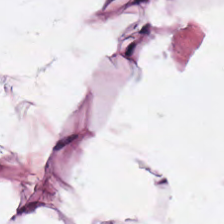20× equivalent magnification. Hematoxylin and eosin.
This patch shows adipocytes.
